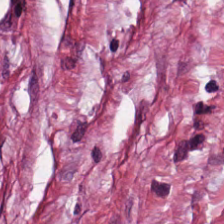This field is tumor stroma.
